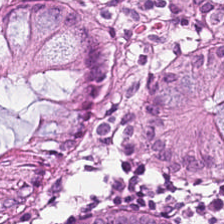WSI patch. Formalin-fixed paraffin-embedded section. Hematoxylin and eosin.
The predominant tissue is normal colon mucosa.
